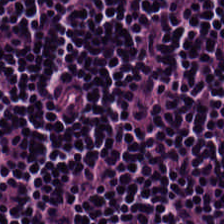H&E stain. Lymphocyte aggregate.
